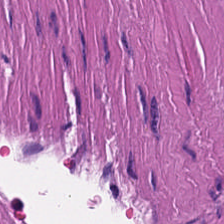Q: What is shown here?
A: It is smooth muscle.
